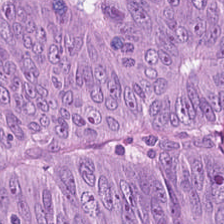Stain: H&E stain.
Tissue class: colorectal adenocarcinoma.
